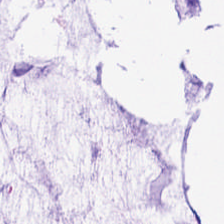H&E-stained section; the field shows extracellular mucin.
